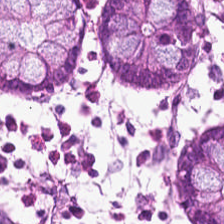This field is benign colonic mucosa.
